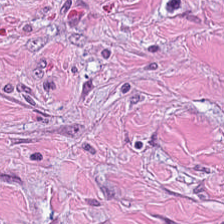Hematoxylin and eosin. 20× equivalent magnification — Q: Classify this patch.
A: This is cancer-associated stroma.
